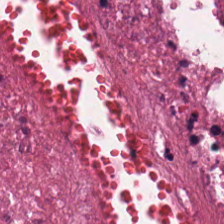H&E — Showing debris.
